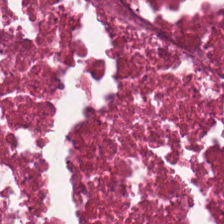The tissue type is debris.
